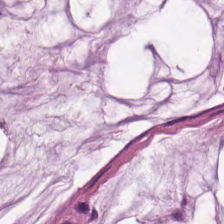Brightfield microscopy · H&E stain — Impression — mucin.
